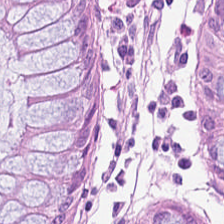Brightfield microscopy · hematoxylin-and-eosin stained section.
The predominant tissue is benign colonic mucosa.
